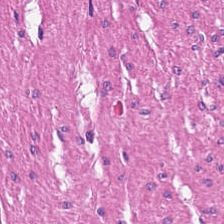Hematoxylin and eosin; 0.5 µm/px. Showing smooth-muscle tissue.
